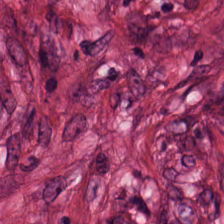H&E stain; WSI patch.
The tissue here is desmoplastic stroma.
